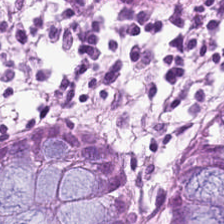Tissue — non-neoplastic colon mucosa.
